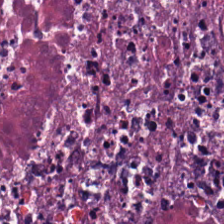Stain: hematoxylin and eosin.
Tissue class: cellular debris.
